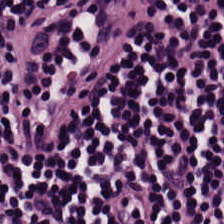H&E patch showing lymphocytic infiltrate.
